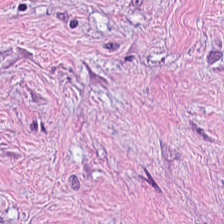H&E; FFPE tissue section; 224×224 px patch.
Predominantly tumor-associated stroma.
